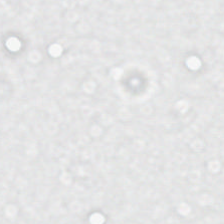Q: What is shown here?
A: It is empty background.
